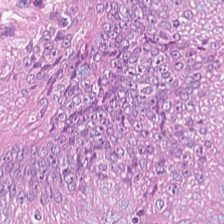Hematoxylin-and-eosin stained section.
This field is colorectal adenocarcinoma epithelium.
